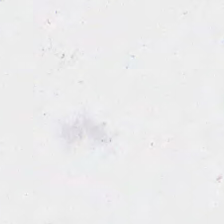Hematoxylin and eosin; WSI patch — The content is no tissue.
